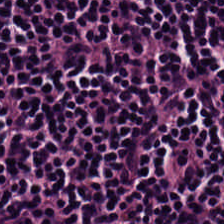Stain: H&E stain.
Tissue: lymphocytes.
